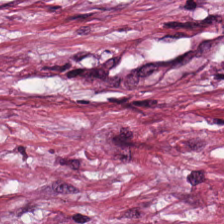H&E-stained tissue section — Q: What type of tissue is this?
A: This is tumor-associated stroma.
